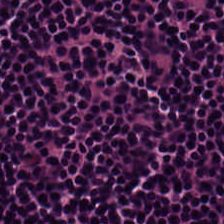Brightfield microscopy; hematoxylin-and-eosin stained section; 224×224 pixel tile.
Lymphocyte aggregate.
